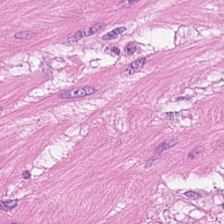Hematoxylin and eosin. Finding — muscularis.
